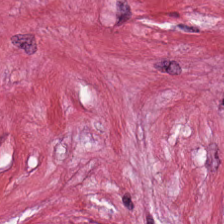Stain: hematoxylin-and-eosin stained section.
Tile size: 224×224 px tile.
Tissue: tumor-associated stroma.
